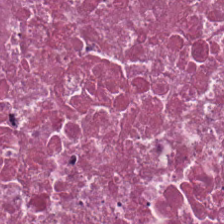Hematoxylin and eosin. The classification is debris.
